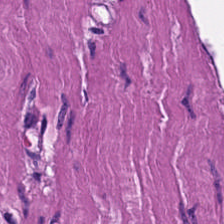Histology — smooth-muscle tissue.
